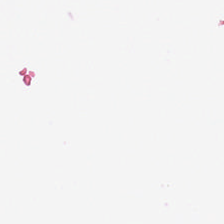0.5 µm per pixel; 224×224 pixel tile; H&E-stained tissue section.
Q: What does this patch show?
A: The field shows background.
